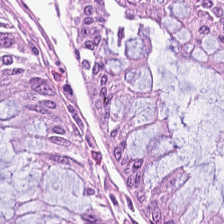Hematoxylin-and-eosin stained section.
Tissue type = normal colon mucosa.
